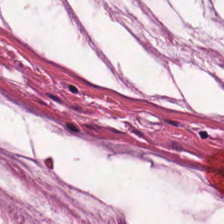Hematoxylin and eosin. Classification — mucus.
